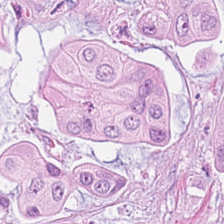Brightfield microscopy · 0.5 µm per pixel · H&E-stained tissue section. This patch shows malignant epithelium.
